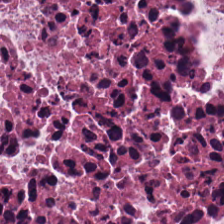H&E stain; 224×224 pixel tile.
The predominant tissue is necrotic debris.
